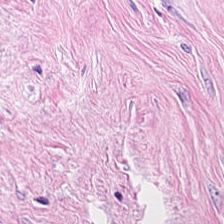H&E-stained tissue section.
Tissue type: cancer-associated stroma.
